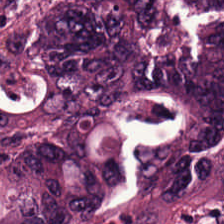Stain: H&E.
Tissue: adenocarcinoma.
